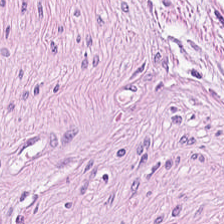Finding → desmoplastic stroma.
